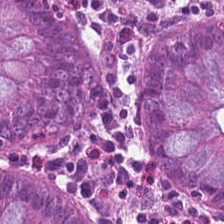Hematoxylin-and-eosin stained section — Q: What is the predominant tissue type?
A: It is normal colonic mucosa.
